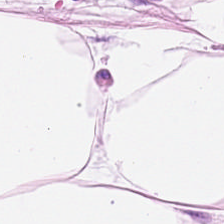Predominantly adipose.
